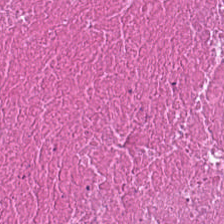Stain: hematoxylin-and-eosin stained section.
Preparation: FFPE tissue section.
Classification: necrotic debris.
